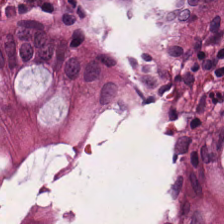Stain: hematoxylin and eosin.
Tissue type: benign colonic mucosa.
